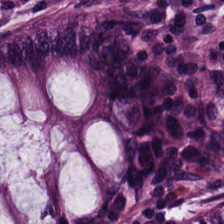FFPE; H&E; 224×224 pixel tile.
Tissue class: benign colonic mucosa.
